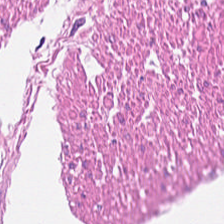H&E-stained section; the field shows smooth-muscle tissue.
